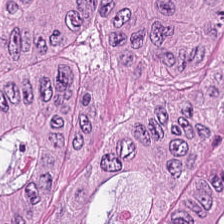Stain: hematoxylin-and-eosin stained section.
Tile size: 224×224 pixel tile.
Classification: malignant epithelium.
